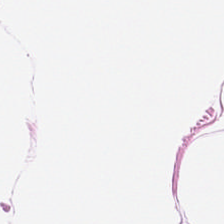H&E. Formalin-fixed paraffin-embedded section. Brightfield — Adipose.
